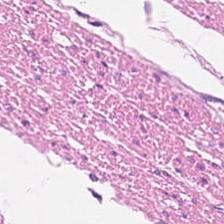Brightfield · H&E-stained tissue section — Predominantly smooth muscle.
